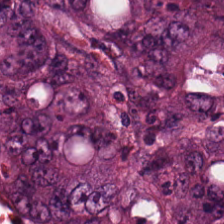H&E.
Impression — tumor epithelium.
